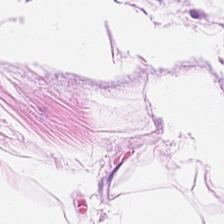H&E stain · 224×224 px tile · FFPE.
Tissue type = adipose.
